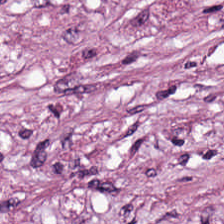20× equivalent magnification; FFPE; H&E-stained tissue section — Q: What does this patch show?
A: This is desmoplastic stroma.
